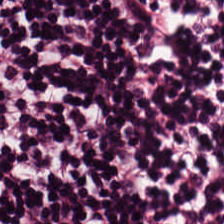Tissue: lymphocyte aggregate.
